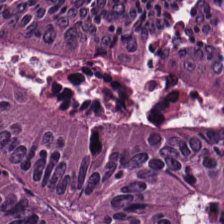Hematoxylin and eosin. The tissue here is colorectal adenocarcinoma.
